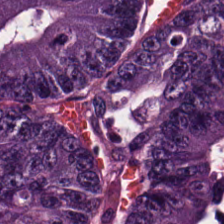Stain: H&E-stained tissue section.
Tissue: tumor epithelium.
